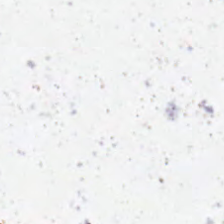Hematoxylin and eosin — Impression → background (no tissue).
